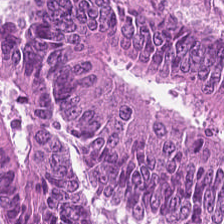The tissue here is tumor epithelium.
